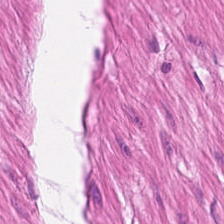H&E stain.
Muscularis.
